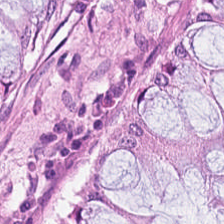H&E stain. Brightfield.
Predominantly benign colonic mucosa.
